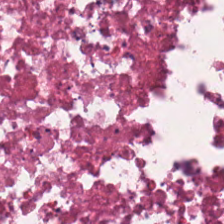Formalin-fixed paraffin-embedded section · H&E-stained tissue section.
Q: What does this patch show?
A: The field shows cellular debris.
